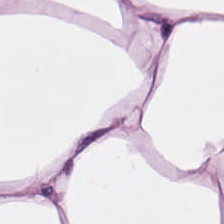0.5 microns per pixel · whole-slide-image patch · hematoxylin-and-eosin stained section — Adipose tissue.
